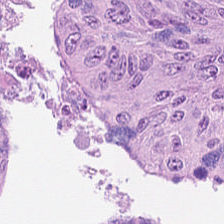H&E — Q: What does this patch show?
A: It is adenocarcinoma.
